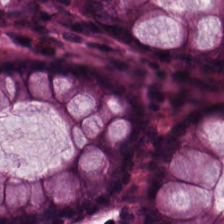Hematoxylin-and-eosin stained section. Predominant tissue = normal colonic mucosa.
